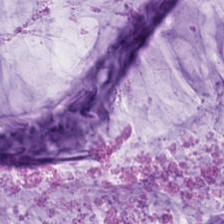WSI patch. Hematoxylin and eosin — Q: What type of tissue is this?
A: The field shows mucus.
